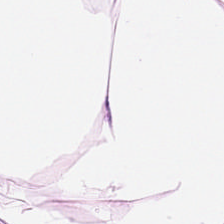Hematoxylin-and-eosin stained section. 224×224 px tile — This patch shows fat tissue.
